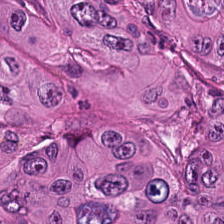H&E-stained tissue section — Q: What is shown in this field?
A: It is colorectal adenocarcinoma epithelium.
